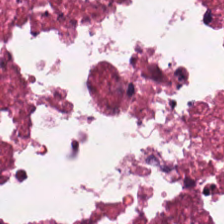Whole-slide-image patch · 224×224 pixel tile · hematoxylin-and-eosin stained section.
The predominant tissue is cellular debris.
